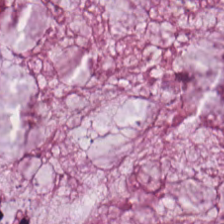H&E — Finding → mucin.
